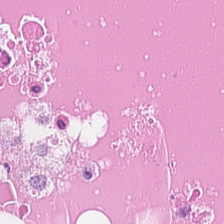Hematoxylin-and-eosin stained section — Q: Classify this patch.
A: This is cellular debris.
